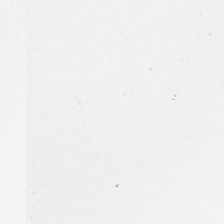H&E stain. Formalin-fixed paraffin-embedded section — No tissue present; background only.
